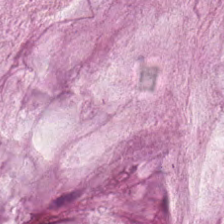Tissue type — mucin.
